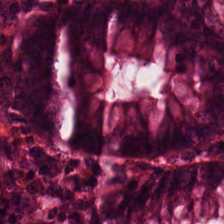H&E stain.
Q: What tissue type is shown here?
A: It is normal colonic mucosa.
